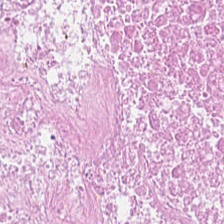224×224 pixel tile · H&E stain.
Necrotic debris.
